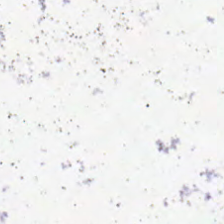H&E. This field is background (no tissue).
